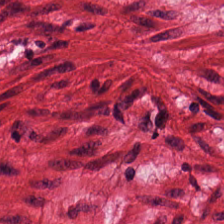20× equivalent magnification · formalin-fixed paraffin-embedded section · hematoxylin and eosin. The tissue is smooth-muscle tissue.
